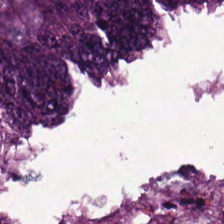Whole-slide-image patch; H&E-stained tissue section — Showing tumor epithelium.
